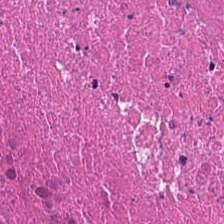H&E-stained tissue section · FFPE — Q: What tissue is shown?
A: Cellular debris.
